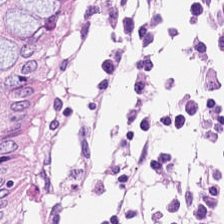Brightfield. H&E-stained tissue section. FFPE tissue section.
The predominant tissue is normal colonic mucosa.
